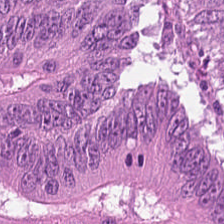Stain: hematoxylin and eosin.
Acquisition: brightfield microscopy.
Predominant tissue: colorectal adenocarcinoma epithelium.
